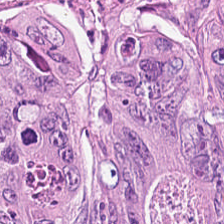Stain: H&E stain.
Resolution: 0.5 µm/px.
Tissue: adenocarcinoma.
